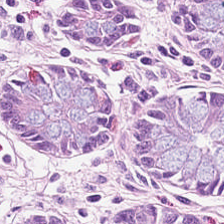WSI patch; hematoxylin and eosin.
Q: What is the predominant tissue type?
A: It is benign colonic mucosa.
